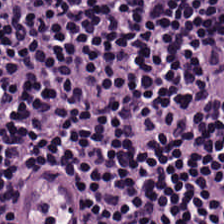The tissue here is lymphocytes.
